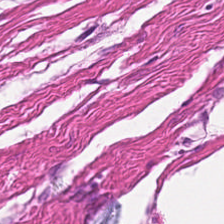H&E stain — Impression — muscularis.
